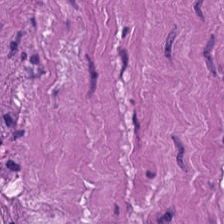224×224 px patch; H&E. Finding → muscularis.
